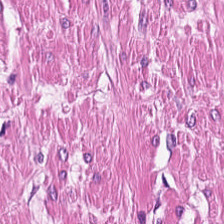224×224 px patch · H&E stain · 0.5 microns per pixel.
Showing smooth-muscle tissue.
